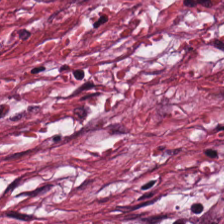Hematoxylin-and-eosin stained section. The predominant tissue is tumor stroma.
